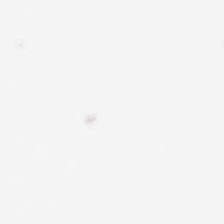Brightfield microscopy · H&E-stained tissue section · 20× equivalent magnification — {"content": "empty background"}
